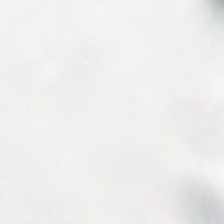Hematoxylin and eosin; 224×224 px tile; whole-slide-image patch. No tissue present; background only.
